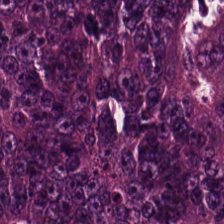Stain: H&E-stained tissue section.
Predominant tissue: tumor epithelium.
